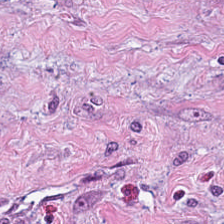Hematoxylin and eosin.
Classification = desmoplastic stroma.
